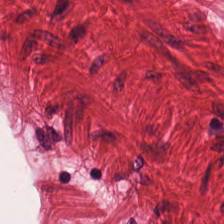20× equivalent magnification. 224×224 px patch. H&E-stained tissue section. Tissue — smooth muscle.
